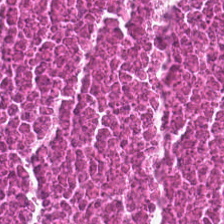Histology → cellular debris.
